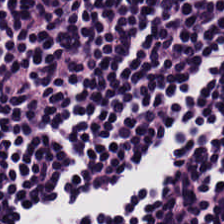0.5 µm per pixel. Whole-slide-image patch. H&E. This field is lymphoid infiltrate.
